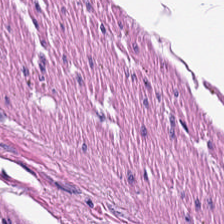Q: Classify this patch.
A: It is smooth muscle.
